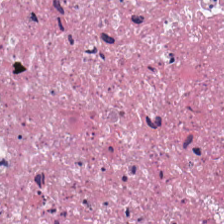Hematoxylin and eosin. 224×224 pixel tile — Tissue type = cellular debris.
